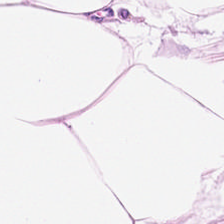Tissue type: adipose.
